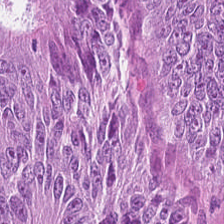Hematoxylin and eosin. Q: What tissue is shown?
A: It is tumor epithelium.
